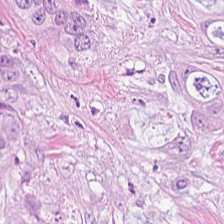{"tissue_type": "colorectal adenocarcinoma"}
